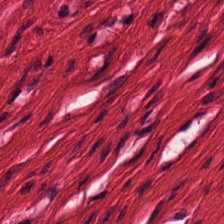Tissue — smooth-muscle tissue.
